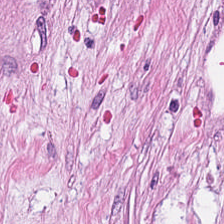Hematoxylin and eosin. Whole-slide-image patch.
Desmoplastic stroma.
